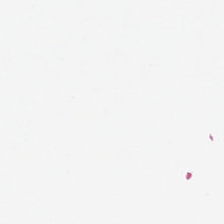Stain: H&E stain.
Field content: empty background.
